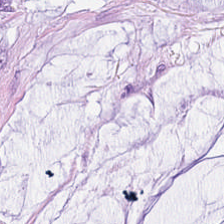The tissue class is mucin.
